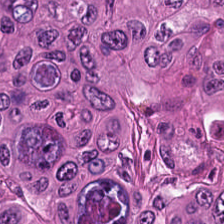Q: What tissue type is shown here?
A: The field shows tumor epithelium.
